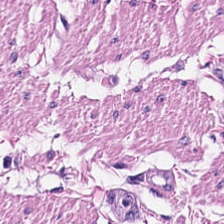Hematoxylin-and-eosin stained section.
This field is smooth muscle.
